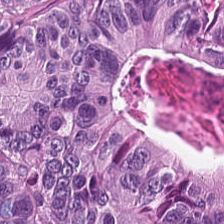Impression — colorectal adenocarcinoma epithelium.
